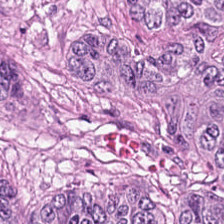Predominantly colorectal adenocarcinoma.
